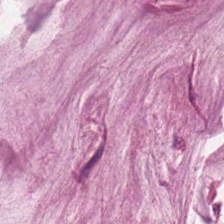Hematoxylin and eosin — Q: What tissue is shown?
A: Extracellular mucin.
